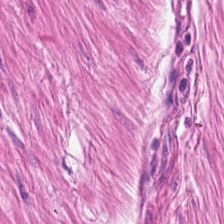Stain: hematoxylin-and-eosin stained section.
Classification: muscularis.
